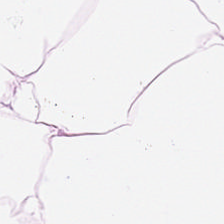H&E. 224×224 pixel tile. Histology — fat tissue.
